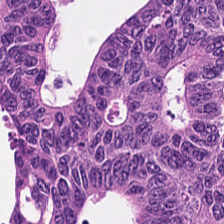Tissue type — colorectal adenocarcinoma epithelium.
